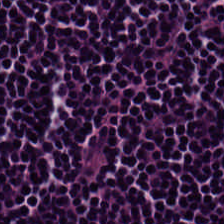Q: What tissue is shown?
A: The field shows lymphocytic infiltrate.
